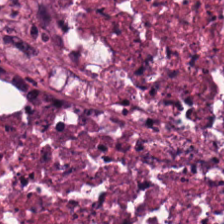224×224 pixel tile; FFPE tissue section; H&E-stained tissue section.
{"tissue_type": "necrotic debris"}
